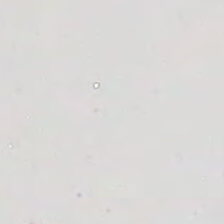Q: What is shown in this field?
A: Empty background.
